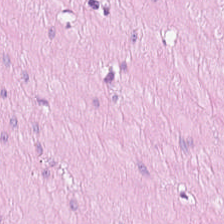Hematoxylin-and-eosin stained section; 0.5 µm/px; WSI patch — Muscularis.
